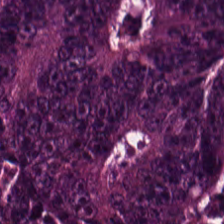Hematoxylin and eosin · brightfield — The tissue here is adenocarcinoma.
